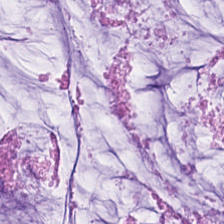H&E. Extracellular mucin.
